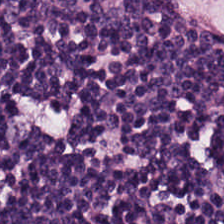Hematoxylin and eosin · brightfield microscopy · formalin-fixed paraffin-embedded section. Lymphoid infiltrate.
